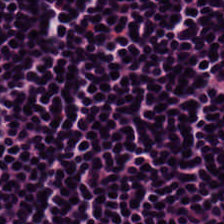The classification is lymphocytic infiltrate.
